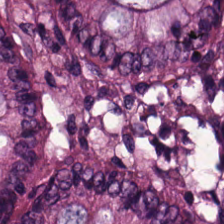H&E-stained section; the field shows normal colon mucosa.
